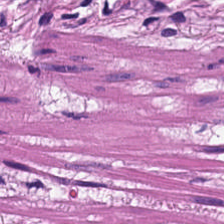0.5 µm per pixel; H&E. Smooth-muscle tissue.
